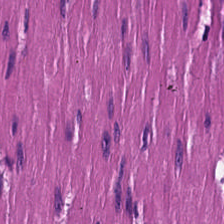Hematoxylin and eosin. 224×224 px tile.
Histology → muscularis.
